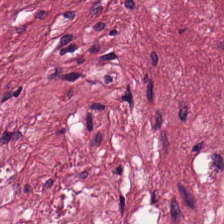H&E-stained tissue section — Classification: tumor-associated stroma.
